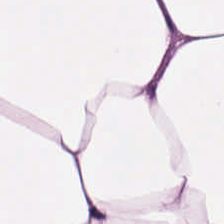0.5 microns per pixel; H&E-stained tissue section; WSI patch.
This patch shows adipocytes.
